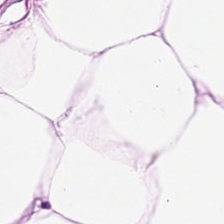Hematoxylin and eosin; 0.5 µm per pixel. Q: Classify this patch.
A: Adipocytes.
